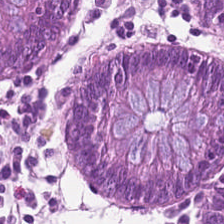Hematoxylin and eosin. Q: What is shown here?
A: This is normal colon mucosa.
